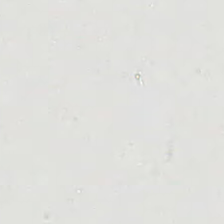Brightfield microscopy. H&E stain — This field is background (no tissue).
